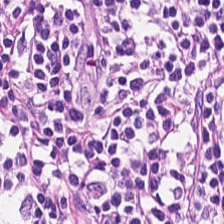H&E stain.
The classification is lymphocytes.
